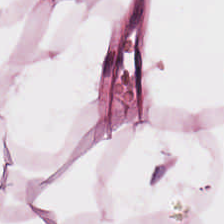H&E stain — Finding — adipocytes.
